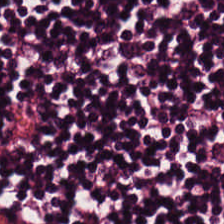Histology → lymphocyte aggregate.
